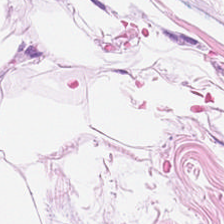Fat tissue.
